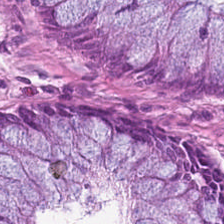224×224 px patch · H&E.
The tissue type is benign colonic mucosa.
